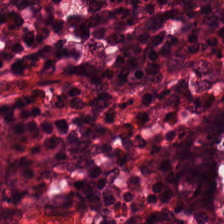H&E-stained section; the field shows normal colonic mucosa.
